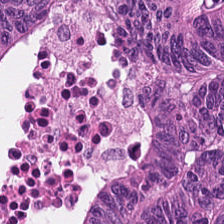The classification is adenocarcinoma.
